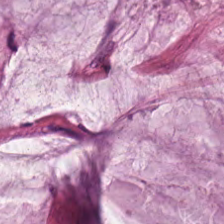Extracellular mucin.
